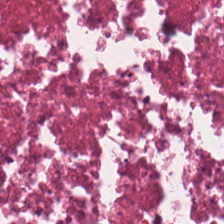This field is cellular debris.
